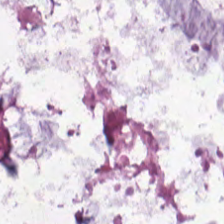H&E-stained tissue section; 224×224 px patch.
{"tissue_type": "extracellular mucin"}
